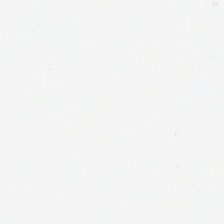Stain: H&E-stained tissue section.
Acquisition: brightfield.
Field content: background.
